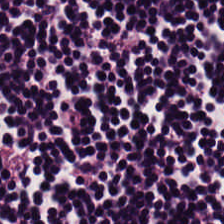The predominant tissue is lymphocytes.
